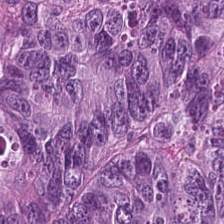H&E stain. Q: What is the predominant tissue type?
A: The field shows malignant epithelium.
